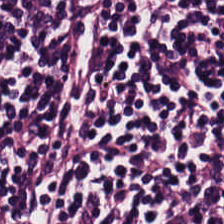Predominant tissue — lymphocytes.
